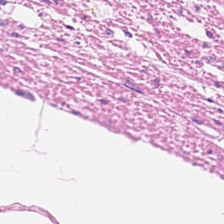224×224 pixel tile. Hematoxylin-and-eosin stained section. Formalin-fixed paraffin-embedded section. Impression → smooth-muscle tissue.
